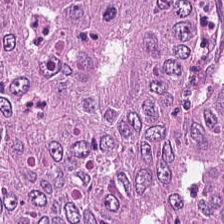H&E.
Colorectal adenocarcinoma.
